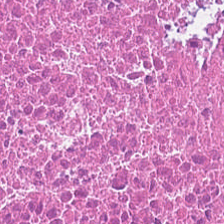Tissue type — cellular debris.
